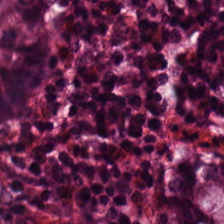Hematoxylin-and-eosin stained section · 224×224 pixel tile.
Predominantly normal colon mucosa.
